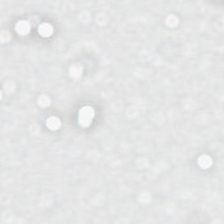Whole-slide-image patch; H&E stain.
Impression → background.
